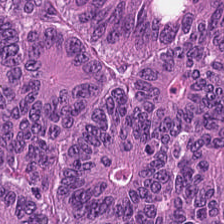H&E stain. Q: What type of tissue is this?
A: The field shows colorectal adenocarcinoma.
